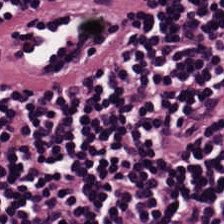H&E.
Q: What tissue is shown?
A: The field shows lymphocytes.
